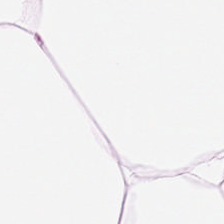Brightfield. Hematoxylin-and-eosin stained section — Tissue class = fat tissue.
